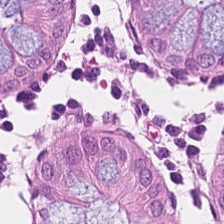{"tissue_type": "benign colonic mucosa"}
